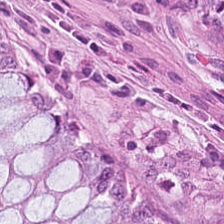Hematoxylin-and-eosin stained section.
The tissue here is normal colon mucosa.
